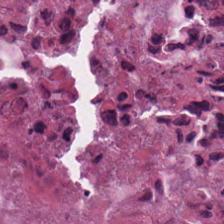H&E-stained tissue section. Finding — debris.
